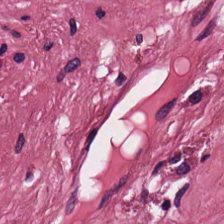H&E stain. Showing tumor stroma.
